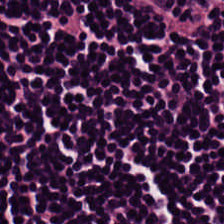20× equivalent magnification; H&E-stained tissue section. Showing lymphocytic infiltrate.
